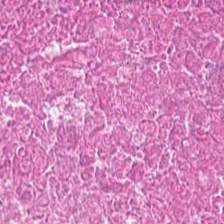224×224 pixel tile; hematoxylin-and-eosin stained section; 20× equivalent magnification — Predominantly cellular debris.
